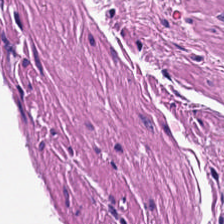H&E; 0.5 microns per pixel; whole-slide-image patch.
Showing muscularis.
